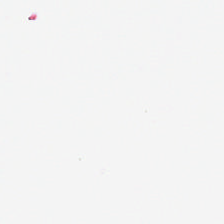Formalin-fixed paraffin-embedded section. Brightfield. Hematoxylin-and-eosin stained section. Empty field — no tissue.
